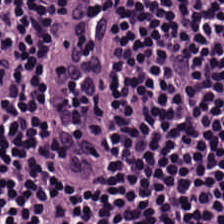The tissue here is lymphocyte aggregate.
